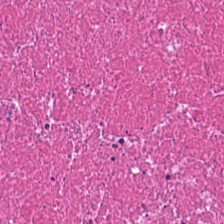Predominant tissue = cellular debris.
